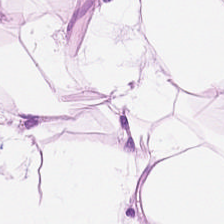FFPE. Hematoxylin and eosin. Whole-slide-image patch.
Q: Classify this patch.
A: It is adipose.
